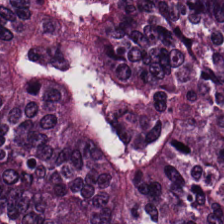Hematoxylin and eosin. Showing malignant epithelium.
